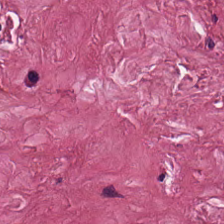H&E.
Tumor stroma.
